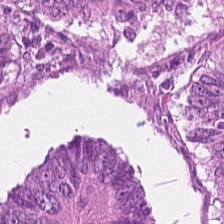H&E-stained tissue section · 224×224 pixel tile — This patch shows malignant epithelium.
